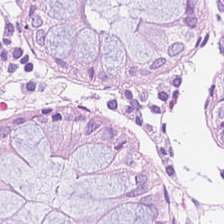Q: Classify this patch.
A: It is normal colonic mucosa.
